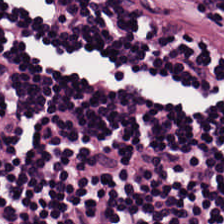H&E-stained tissue section · 20× equivalent magnification. Classification: lymphocytic infiltrate.
